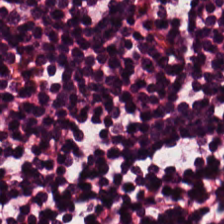Hematoxylin and eosin — Tissue — lymphocytic infiltrate.
